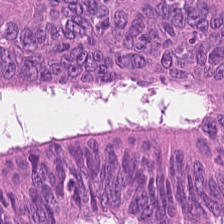H&E. Showing tumor epithelium.
